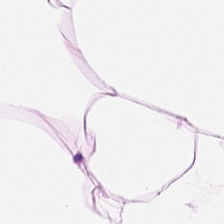Hematoxylin and eosin — Predominantly adipose tissue.
